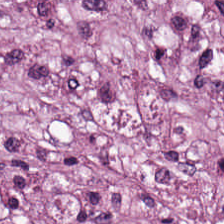Hematoxylin-and-eosin section: cancer-associated stroma.
